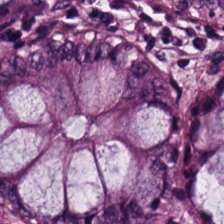Q: What tissue type is shown here?
A: It is non-neoplastic colon mucosa.
